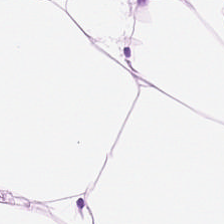224×224 pixel tile; H&E.
Q: What is shown in this field?
A: It is adipose tissue.
